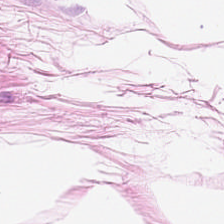Q: What is shown in this field?
A: Adipose.
